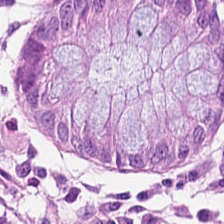Histology — non-neoplastic colon mucosa.
